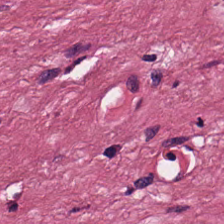Tumor stroma.
